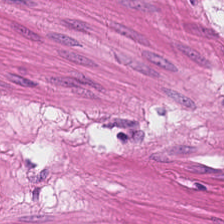H&E-stained tissue section. FFPE — This field is muscularis.
